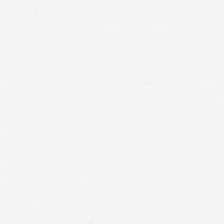Hematoxylin-and-eosin stained section.
Empty field — background (no tissue).
